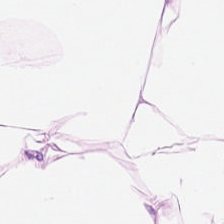H&E patch showing fat tissue.
